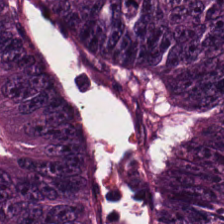H&E-stained tissue section showing tumor epithelium.
